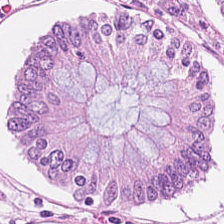H&E stain.
Predominant tissue — normal colonic mucosa.
